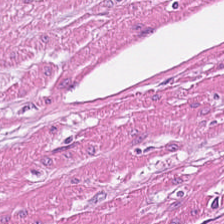H&E-stained tissue section. Predominantly smooth-muscle tissue.
